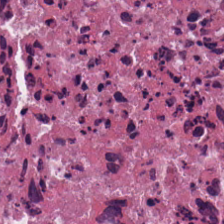Predominantly necrotic debris.
